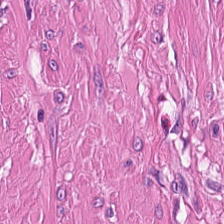Stain: H&E-stained tissue section.
Predominant tissue: muscularis.
